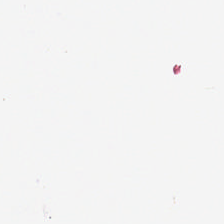H&E — Background.
